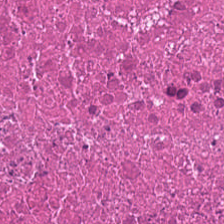H&E-stained tissue section · 0.5 µm per pixel.
Q: What tissue type is shown here?
A: It is cellular debris.
